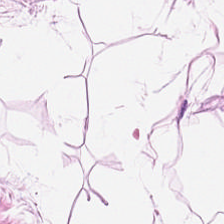224×224 px tile · hematoxylin-and-eosin stained section.
Tissue: adipose tissue.
